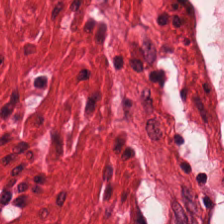Stain: hematoxylin-and-eosin stained section.
Tile size: 224×224 pixel tile.
Predominant tissue: muscularis.
